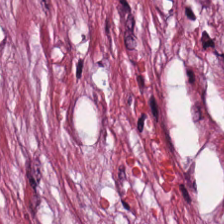H&E-stained tissue section; FFPE tissue section; 224×224 pixel tile — The tissue here is tumor-associated stroma.
